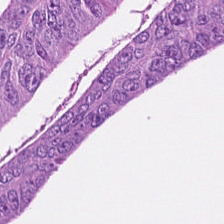Hematoxylin-and-eosin stained section. Tissue type = colorectal adenocarcinoma epithelium.
